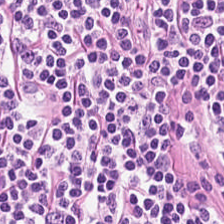This field is lymphocytes.
